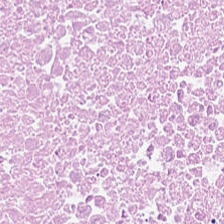The predominant tissue is necrotic debris.
